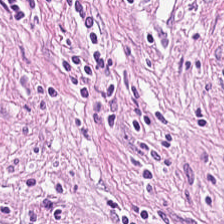Hematoxylin-and-eosin stained section — Tissue type — cancer-associated stroma.
